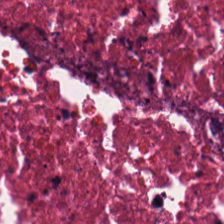H&E.
Histology — necrotic debris.
